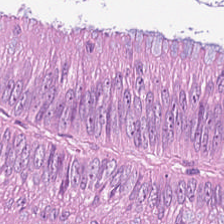Stain: H&E stain.
Tissue class: colorectal adenocarcinoma.
